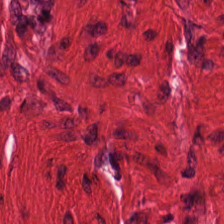H&E stain. The tissue here is smooth muscle.
